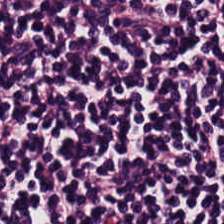Formalin-fixed paraffin-embedded section. Hematoxylin and eosin.
The tissue here is lymphoid infiltrate.
